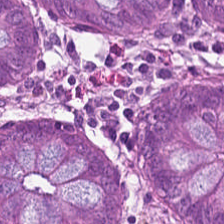224×224 pixel tile · H&E.
Finding → normal colonic mucosa.
